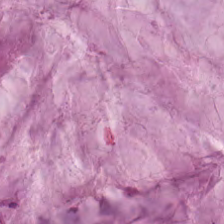Stain: hematoxylin-and-eosin stained section.
Tile size: 224×224 px patch.
Classification: mucin.
